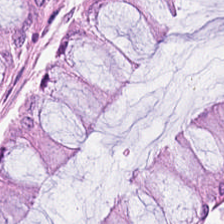H&E-stained tissue section.
Predominantly normal colonic mucosa.
